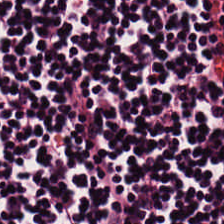Stain: hematoxylin-and-eosin stained section.
Tissue class: lymphocyte aggregate.
